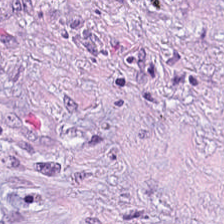Hematoxylin-and-eosin section: cancer-associated stroma.
